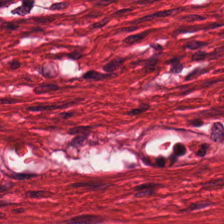0.5 microns per pixel. Hematoxylin-and-eosin stained section.
Predominant tissue: muscularis.
